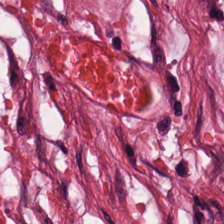Hematoxylin and eosin. Q: What tissue is shown?
A: This is desmoplastic stroma.
